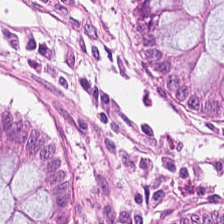Tissue class = benign colonic mucosa.
